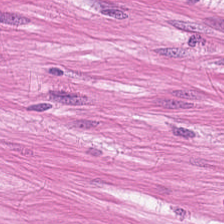224×224 pixel tile. H&E stain.
Predominantly smooth muscle.
